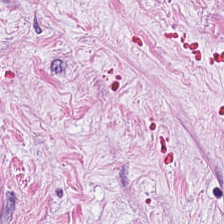H&E-stained tissue section showing desmoplastic stroma.
